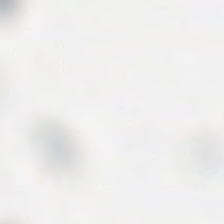224×224 px patch · hematoxylin-and-eosin stained section. The content is empty background.
